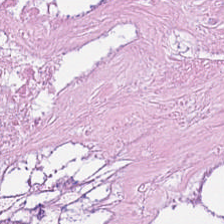Predominantly debris.
